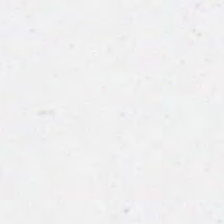Hematoxylin-and-eosin stained section.
Q: Classify this patch.
A: The field shows empty background.
